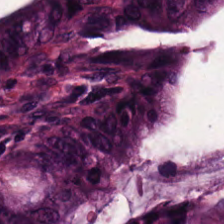H&E-stained tissue section. Finding → adenocarcinoma.
